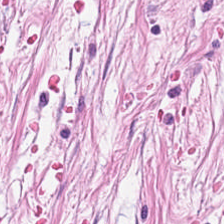Hematoxylin-and-eosin stained section. Predominantly cancer-associated stroma.
